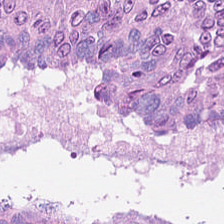H&E — Classification = colorectal adenocarcinoma epithelium.
